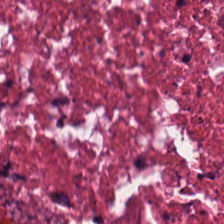Hematoxylin and eosin.
Tissue type = cellular debris.
